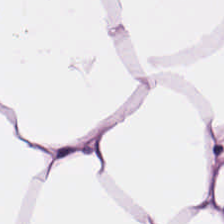Hematoxylin-and-eosin stained section. Brightfield. This patch shows adipose tissue.
